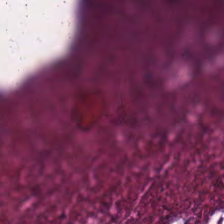H&E-stained section; the field shows necrotic debris.
